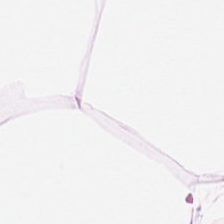Brightfield microscopy. H&E stain — Fat tissue.
